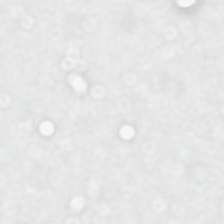Brightfield microscopy. Hematoxylin and eosin. Q: What is shown in this field?
A: This is no tissue.
